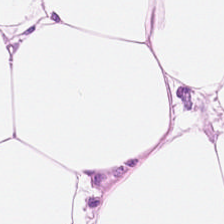Hematoxylin and eosin. Q: What type of tissue is this?
A: The field shows adipose.
